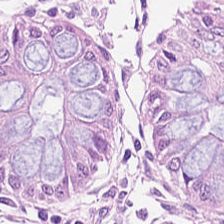Classification — normal colon mucosa.
